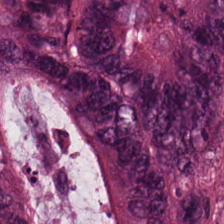H&E · 20× equivalent magnification. The tissue here is adenocarcinoma.
